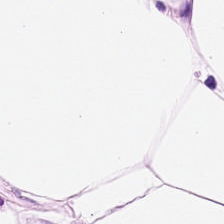H&E.
{"tissue_type": "fat tissue"}
